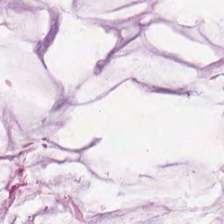Hematoxylin-and-eosin stained section.
This field is mucus.
